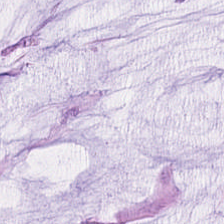Hematoxylin-and-eosin stained section. Tissue type — mucus.
